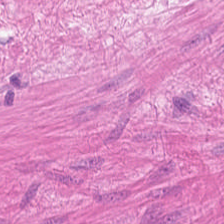Whole-slide-image patch · H&E. Smooth-muscle tissue.
